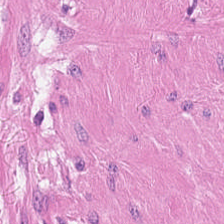Stain: H&E-stained tissue section.
Tissue class: muscularis.
